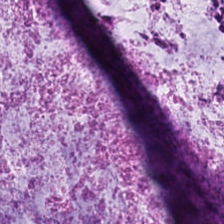The tissue is mucin.
